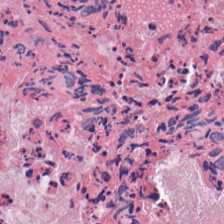Showing cellular debris.
